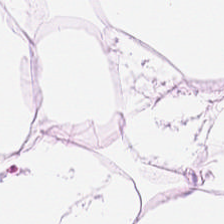Classification = adipose tissue.
